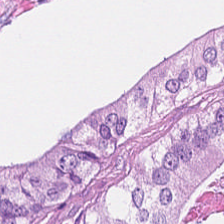Hematoxylin and eosin.
Predominantly malignant epithelium.
